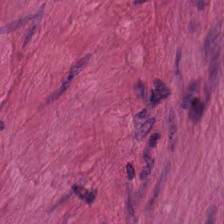Hematoxylin and eosin; 224×224 px tile — This patch shows muscularis.
